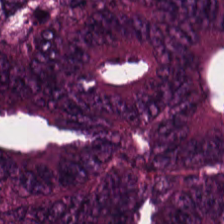Hematoxylin and eosin · 0.5 µm per pixel — Tissue = adenocarcinoma.
